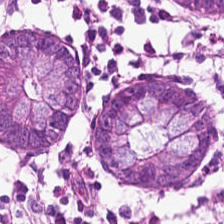0.5 µm per pixel; hematoxylin and eosin. Q: What is shown in this field?
A: Benign colonic mucosa.
